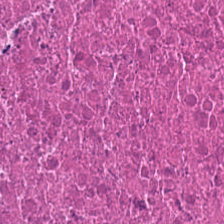Stain: H&E.
Tile size: 224×224 px tile.
Resolution: 0.5 microns per pixel.
Tissue class: debris.
